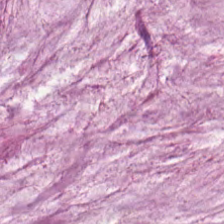224×224 px patch; 0.5 µm/px; H&E stain.
Predominantly mucus.
